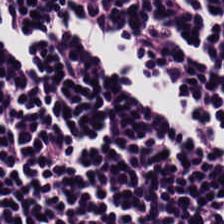224×224 px patch; H&E; 0.5 microns per pixel. {"tissue_type": "lymphocytes"}
